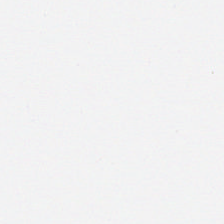H&E-stained tissue section · brightfield. Background (no tissue).
